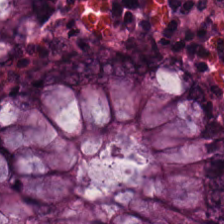The tissue is normal colon mucosa.
